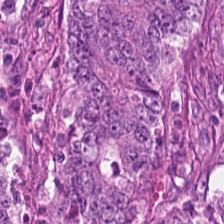H&E-stained tissue section — The predominant tissue is malignant epithelium.
